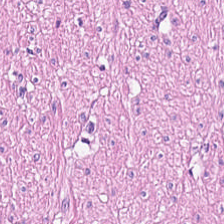Hematoxylin-and-eosin stained section. This field is muscularis.
